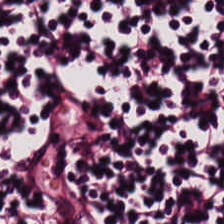0.5 microns per pixel. H&E stain. The tissue class is lymphoid infiltrate.
